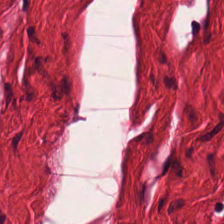Stain: hematoxylin-and-eosin stained section.
Tissue: muscularis.
